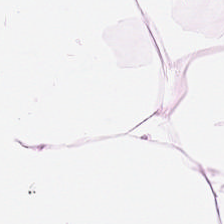Impression → adipocytes.
